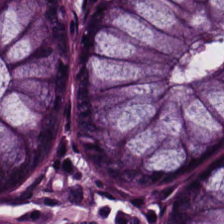H&E.
Tissue class: non-neoplastic colon mucosa.
